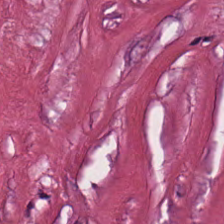H&E.
This field is tumor stroma.
